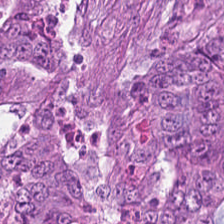Whole-slide-image patch · H&E stain. Tissue — colorectal adenocarcinoma.
